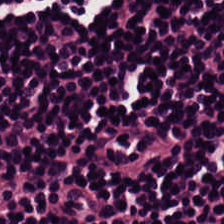Hematoxylin-and-eosin stained section.
This patch shows lymphoid infiltrate.
